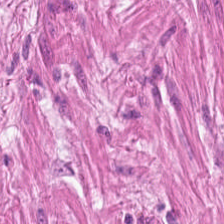Hematoxylin and eosin. Formalin-fixed paraffin-embedded section.
Showing smooth-muscle tissue.
